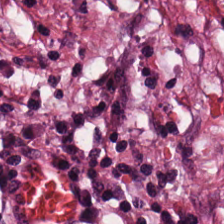Stain: hematoxylin-and-eosin stained section.
Preparation: FFPE tissue section.
Tile size: 224×224 px patch.
Tissue: tumor stroma.
